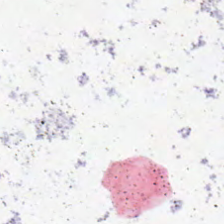Whole-slide-image patch; H&E stain.
Content — no tissue.
